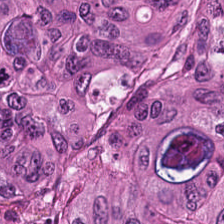Hematoxylin-and-eosin stained section — Predominant tissue — colorectal adenocarcinoma.
